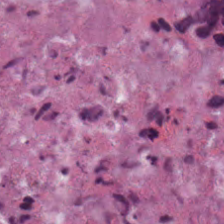0.5 µm per pixel. Hematoxylin and eosin. Brightfield — Showing debris.
